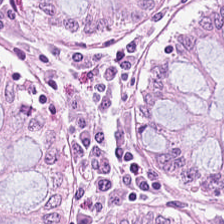Brightfield microscopy. 224×224 px tile. Hematoxylin-and-eosin stained section — Q: What tissue is shown?
A: The field shows benign colonic mucosa.
